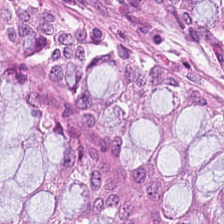H&E stain — The classification is normal colonic mucosa.
